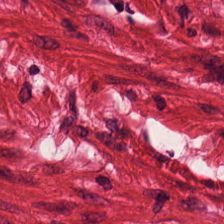H&E-stained tissue section. Whole-slide-image patch. FFPE tissue section — {"tissue_type": "muscularis"}
